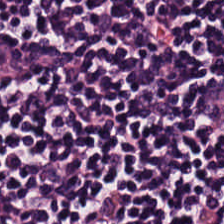H&E-stained tissue section. {"tissue_type": "lymphocyte aggregate"}
